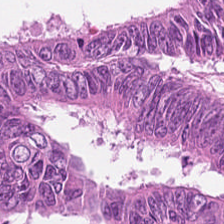0.5 µm per pixel · H&E stain · formalin-fixed paraffin-embedded section — The predominant tissue is colorectal adenocarcinoma.
